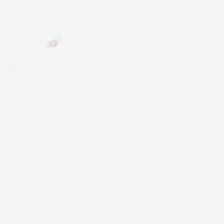H&E stain.
The content is no tissue.
